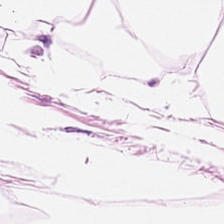H&E stain · 224×224 pixel tile.
Impression — fat tissue.
